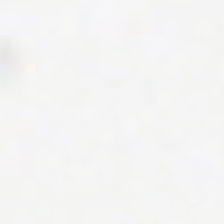Brightfield microscopy; 0.5 µm/px; H&E — No tissue present; background only.
